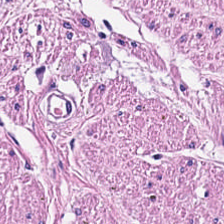H&E stain. FFPE.
Muscularis.
